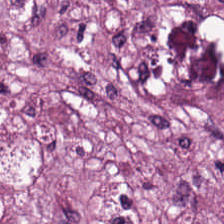Hematoxylin-and-eosin stained section — Tissue class: cancer-associated stroma.
